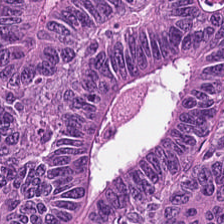H&E stain. Q: Classify this patch.
A: Colorectal adenocarcinoma epithelium.
